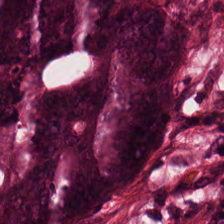Hematoxylin-and-eosin section: tumor epithelium.
